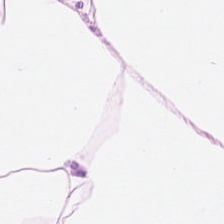0.5 µm per pixel. FFPE tissue section. Hematoxylin-and-eosin stained section — This patch shows adipose.
